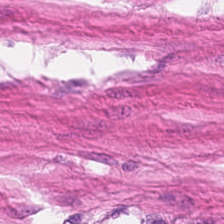H&E stain; 0.5 µm/px.
Smooth muscle.
